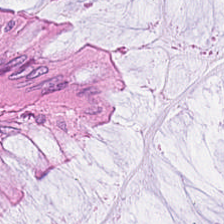H&E stain. Non-neoplastic colon mucosa.
